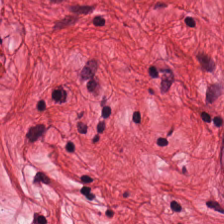H&E patch showing muscularis.
